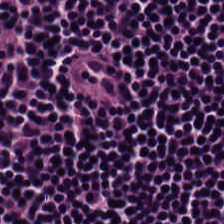Hematoxylin and eosin.
Tissue type: lymphocytes.
